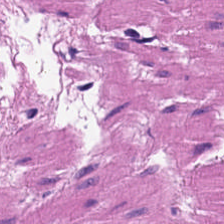FFPE tissue section · H&E-stained tissue section.
Tissue = muscularis.
